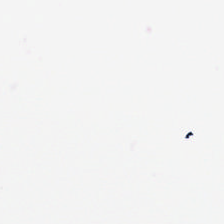Hematoxylin-and-eosin stained section.
This patch shows empty background.
